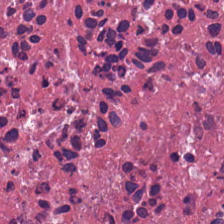Stain: H&E.
Classification: necrotic debris.
